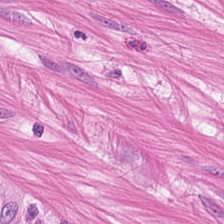Hematoxylin-and-eosin stained section · FFPE tissue section.
Predominant tissue = smooth muscle.
